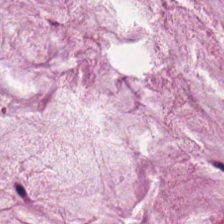The tissue is mucin.
